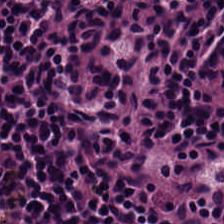H&E stain.
The tissue type is lymphocyte aggregate.
